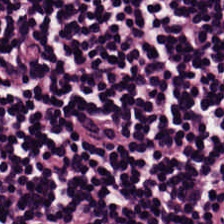Whole-slide-image patch · H&E-stained tissue section — This patch shows lymphocyte aggregate.
